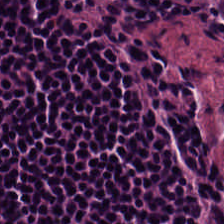224×224 px patch; hematoxylin-and-eosin stained section — This field is lymphoid infiltrate.
